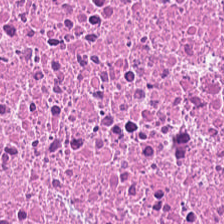Hematoxylin and eosin — The tissue class is debris.
